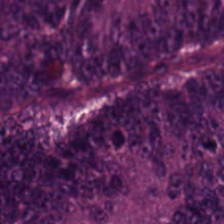Q: What tissue type is shown here?
A: Malignant epithelium.
